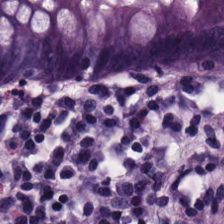Hematoxylin-and-eosin stained section.
Histology — normal colon mucosa.
